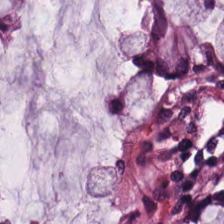Hematoxylin and eosin.
Q: What is the predominant tissue type?
A: It is benign colonic mucosa.
